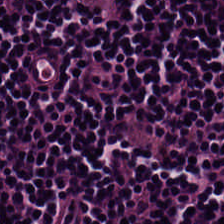Stain: H&E stain.
Resolution: 20× equivalent magnification.
Classification: lymphocyte aggregate.
